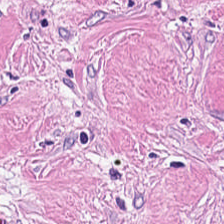FFPE tissue section; hematoxylin-and-eosin stained section — Predominantly cancer-associated stroma.
